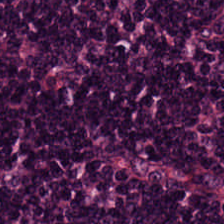Stain: hematoxylin and eosin.
Acquisition: brightfield.
Tissue: lymphoid infiltrate.
